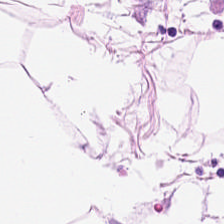Hematoxylin-and-eosin stained section · whole-slide-image patch.
The predominant tissue is adipocytes.
